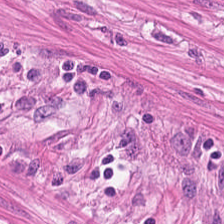Hematoxylin and eosin · brightfield · 0.5 µm/px. Predominantly smooth-muscle tissue.
